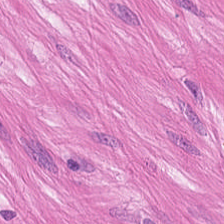H&E stain; whole-slide-image patch. The predominant tissue is muscularis.
